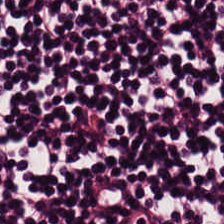Hematoxylin and eosin; 0.5 µm/px.
Tissue class: lymphocytic infiltrate.
